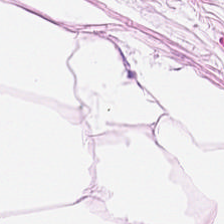224×224 px tile. Hematoxylin and eosin — Fat tissue.
